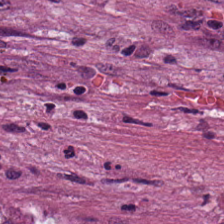Formalin-fixed paraffin-embedded section. Hematoxylin and eosin. Showing tumor stroma.
